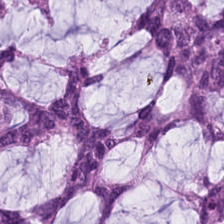Hematoxylin-and-eosin stained section. This patch shows mucus.
